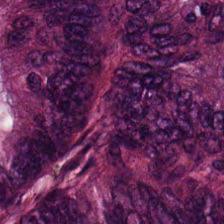Classification = malignant epithelium.
